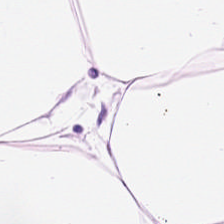Stain: H&E.
Tissue: adipose tissue.
